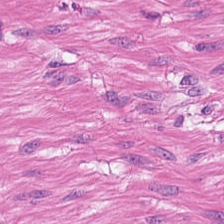{"tissue_type": "smooth-muscle tissue"}
